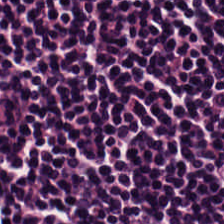0.5 µm/px · hematoxylin-and-eosin stained section. Tissue type: lymphocyte aggregate.
